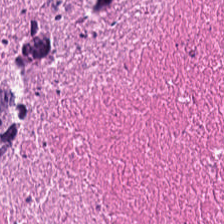H&E-stained tissue section. FFPE tissue section.
The predominant tissue is necrotic debris.
